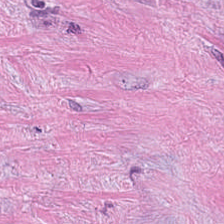Brightfield. H&E stain. FFPE.
This field is cancer-associated stroma.
